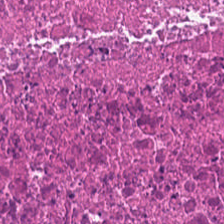H&E-stained tissue section; 224×224 px patch — Histology — debris.
